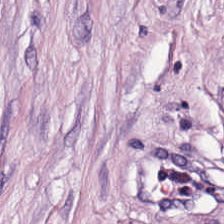20× equivalent magnification · hematoxylin-and-eosin stained section.
Q: What is shown in this field?
A: This is cancer-associated stroma.
